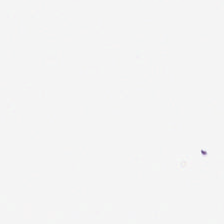0.5 microns per pixel · hematoxylin and eosin · FFPE.
No tissue present; background only.
